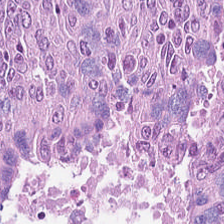0.5 µm/px; FFPE tissue section; H&E-stained tissue section. Tissue type = malignant epithelium.
